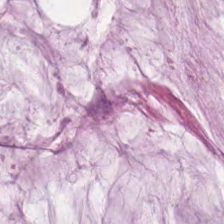Hematoxylin-and-eosin stained section.
Tissue type — mucin.
